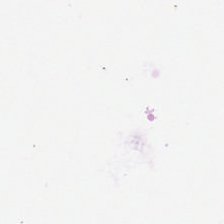H&E.
No tissue present; background only.
